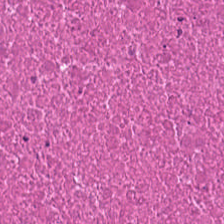Stain: H&E stain.
Tissue: debris.
